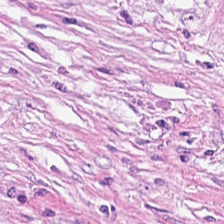WSI patch. Hematoxylin and eosin.
Q: What tissue type is shown here?
A: It is tumor stroma.
